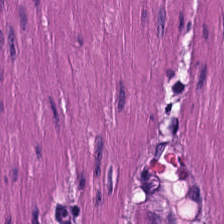FFPE; H&E-stained tissue section; 224×224 pixel tile.
The tissue class is smooth muscle.
